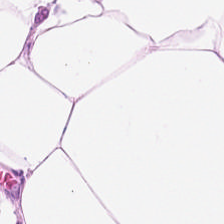Hematoxylin and eosin · 20× equivalent magnification.
Tissue type: adipose.
